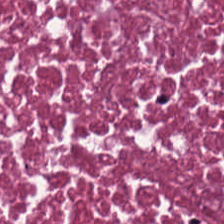Q: What is shown in this field?
A: Debris.
